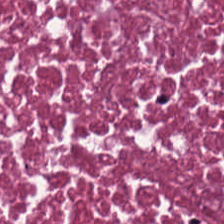Q: What is shown in this field?
A: Debris.
